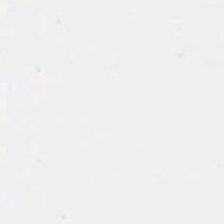224×224 px tile. H&E-stained tissue section. Formalin-fixed paraffin-embedded section.
This patch shows empty background.
